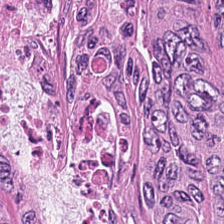H&E. 0.5 µm/px. Whole-slide-image patch. Tissue type — colorectal adenocarcinoma.
